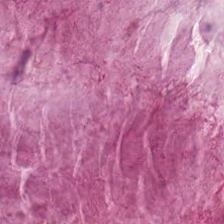H&E stain. {"tissue_type": "mucus"}
